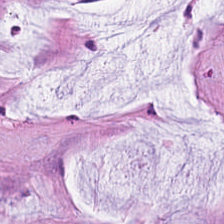Predominant tissue: mucus.
